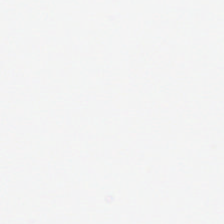This field is background (no tissue).
